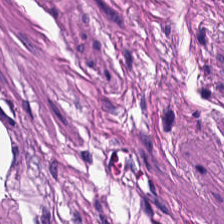Hematoxylin-and-eosin stained section.
Tissue — muscularis.
